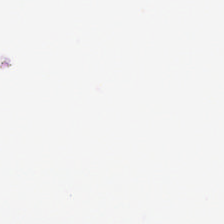Stain: hematoxylin and eosin.
Content: empty background.
